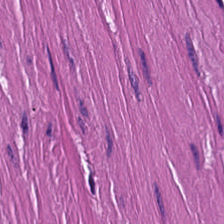Hematoxylin and eosin.
{"tissue_type": "smooth muscle"}
